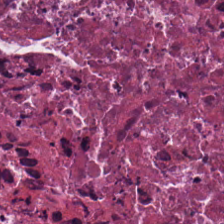H&E stain · 224×224 px tile.
Q: What is the predominant tissue type?
A: It is necrotic debris.
